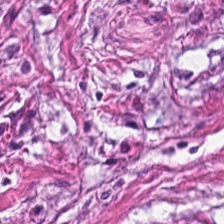Tissue class: desmoplastic stroma.
